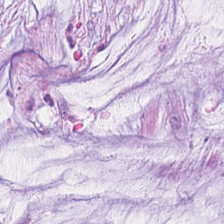H&E stain. Tissue — mucus.
